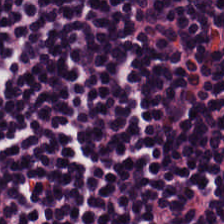This field is lymphocytic infiltrate.
